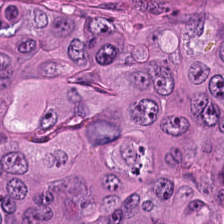Colorectal adenocarcinoma.
